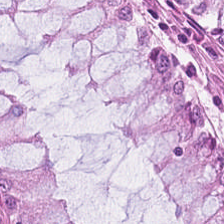The tissue is benign colonic mucosa.
